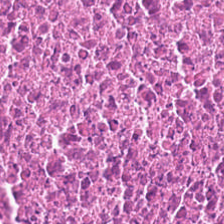Brightfield microscopy · H&E. Q: Classify this patch.
A: This is cellular debris.
